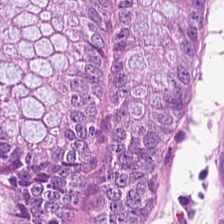H&E patch showing normal colon mucosa.
